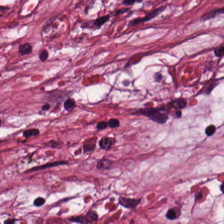H&E-stained tissue section · 0.5 µm per pixel — Q: What is shown in this field?
A: It is tumor stroma.
